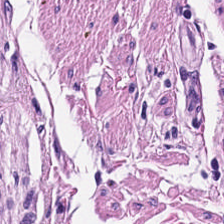H&E stain — Q: What is shown here?
A: The field shows muscularis.
